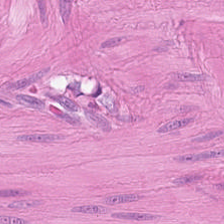H&E. WSI patch. 224×224 px patch.
Q: What does this patch show?
A: This is muscularis.
